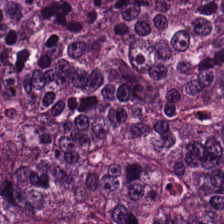H&E; FFPE.
Q: What is shown in this field?
A: The field shows colorectal adenocarcinoma epithelium.
